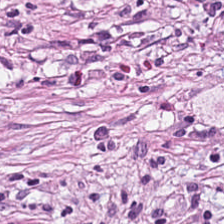H&E-stained tissue section.
This patch shows desmoplastic stroma.
